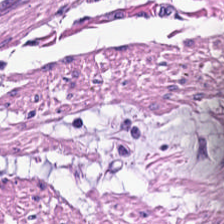Hematoxylin and eosin. The tissue type is smooth-muscle tissue.
